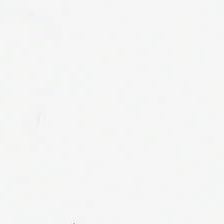{"content": "empty background"}
